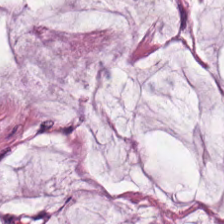224×224 pixel tile · hematoxylin-and-eosin stained section — Q: What is shown in this field?
A: This is extracellular mucin.
